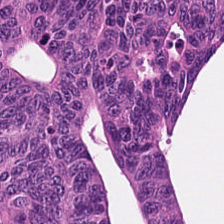Hematoxylin and eosin; formalin-fixed paraffin-embedded section.
Showing colorectal adenocarcinoma epithelium.
